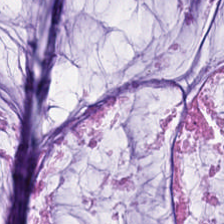H&E stain.
{"tissue_type": "mucin"}
